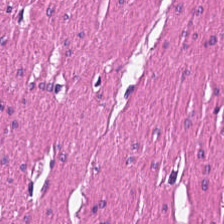Hematoxylin-and-eosin stained section.
Showing smooth muscle.
